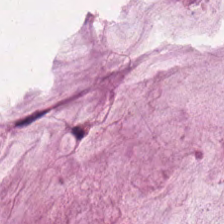H&E.
Q: What does this patch show?
A: The field shows mucus.
